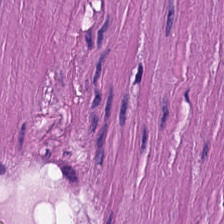Hematoxylin-and-eosin stained section · FFPE · 20× equivalent magnification.
Impression → muscularis.
